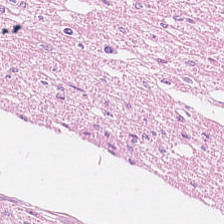Hematoxylin-and-eosin stained section; 0.5 µm/px — Tissue class = smooth-muscle tissue.
